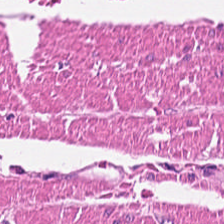H&E-stained tissue section showing muscularis.
